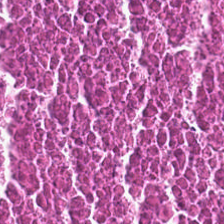H&E-stained tissue section.
Histology → debris.
